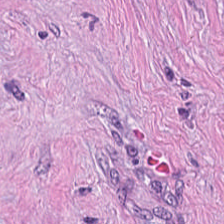H&E-stained tissue section. 0.5 microns per pixel. WSI patch.
This patch shows tumor-associated stroma.
